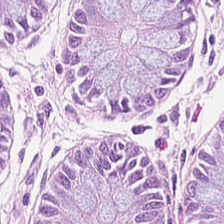H&E. Predominantly normal colon mucosa.
